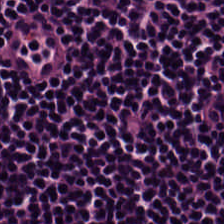Q: What is shown here?
A: It is lymphoid infiltrate.
